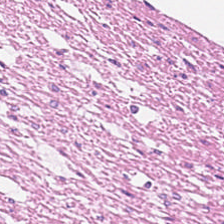Hematoxylin-and-eosin stained section · FFPE tissue section. This field is smooth muscle.
